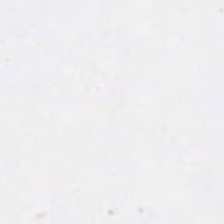Hematoxylin-and-eosin stained section. {"content": "background (no tissue)"}
